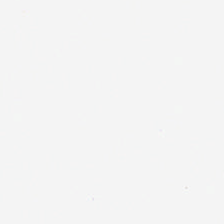FFPE tissue section; H&E. Empty background.
